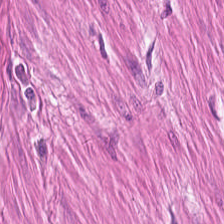Hematoxylin-and-eosin stained section. 224×224 pixel tile — The classification is muscularis.
